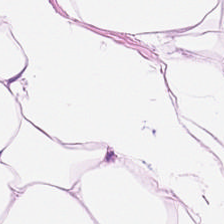Q: What tissue is shown?
A: Fat tissue.
